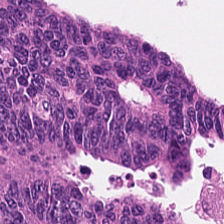Hematoxylin and eosin. Showing malignant epithelium.
